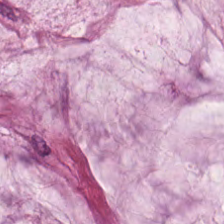H&E stain.
The predominant tissue is extracellular mucin.
